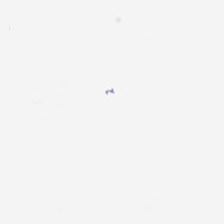Background (no tissue).
